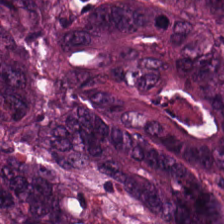H&E-stained tissue section · brightfield microscopy · FFPE tissue section — Histology → colorectal adenocarcinoma epithelium.
